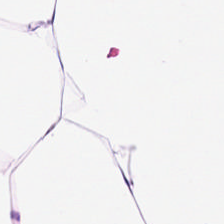H&E-stained tissue section showing adipose.
